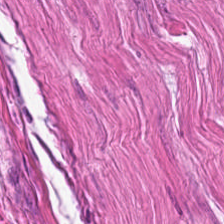H&E-stained tissue section. Whole-slide-image patch. 0.5 microns per pixel — Tissue class — muscularis.
